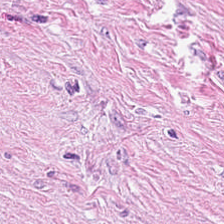Stain: H&E.
Tissue type: cancer-associated stroma.
